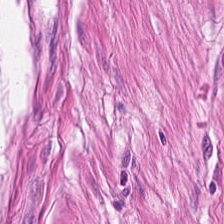Hematoxylin and eosin; 224×224 px patch.
{"tissue_type": "smooth-muscle tissue"}
